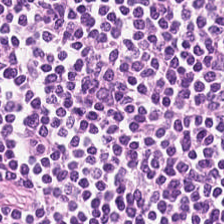H&E stain.
Tissue class = lymphoid infiltrate.
